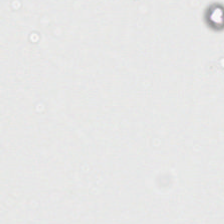0.5 µm per pixel; H&E; FFPE — This field is background (no tissue).
